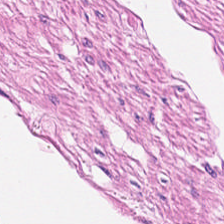H&E — Q: What tissue is shown?
A: This is muscularis.
